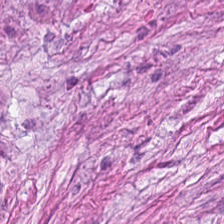224×224 px tile · formalin-fixed paraffin-embedded section · H&E — The tissue class is tumor stroma.
